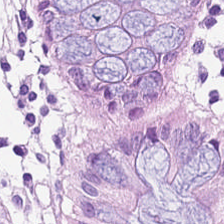H&E-stained tissue section. {"tissue_type": "normal colon mucosa"}
